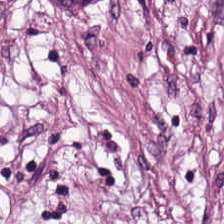Hematoxylin-and-eosin section: tumor-associated stroma.
